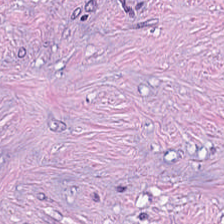Hematoxylin-and-eosin stained section.
Q: What type of tissue is this?
A: The field shows cellular debris.
